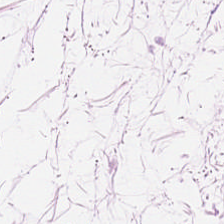FFPE tissue section. H&E stain. Predominant tissue = fat tissue.
